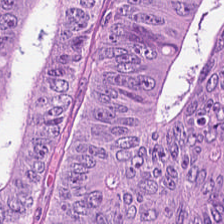H&E stain. Formalin-fixed paraffin-embedded section.
This field is malignant epithelium.
